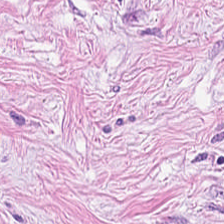The tissue type is desmoplastic stroma.
